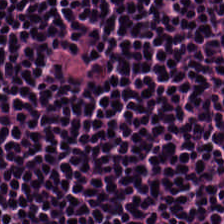H&E-stained tissue section.
The tissue here is lymphocyte aggregate.
